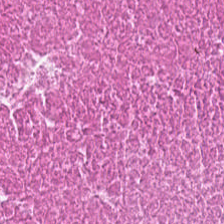Stain: hematoxylin-and-eosin stained section.
Tissue: cellular debris.
